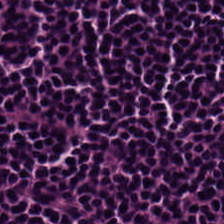Hematoxylin and eosin.
Q: What tissue type is shown here?
A: Lymphocytic infiltrate.
